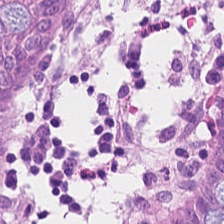Showing non-neoplastic colon mucosa.
